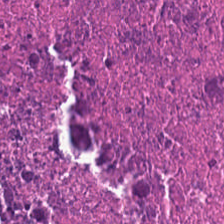Hematoxylin and eosin · 224×224 px patch — The tissue is necrotic debris.
